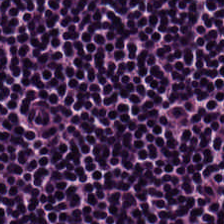H&E — Finding → lymphocytes.
